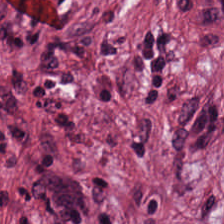0.5 microns per pixel; whole-slide-image patch; H&E stain — This field is desmoplastic stroma.
